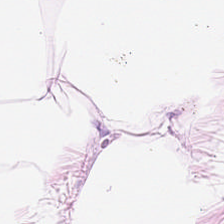Hematoxylin and eosin.
Tissue = adipocytes.
